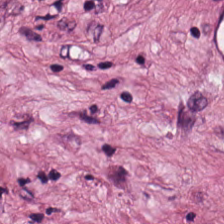FFPE · 0.5 µm per pixel · H&E. Showing tumor-associated stroma.
